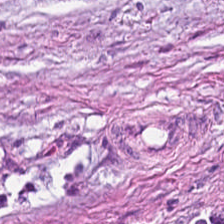224×224 pixel tile; H&E stain — The classification is cancer-associated stroma.
